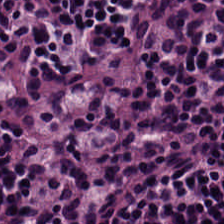Brightfield. Hematoxylin-and-eosin stained section. Impression → lymphocytic infiltrate.
